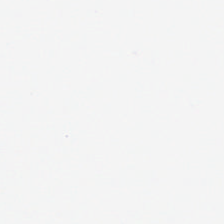Hematoxylin-and-eosin stained section. 0.5 µm/px — The content is background.
